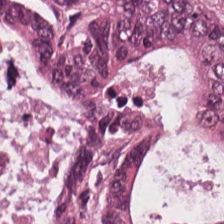H&E stain. Showing adenocarcinoma.
